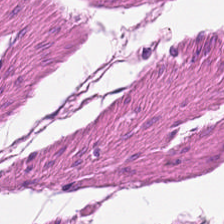224×224 px tile · whole-slide-image patch · hematoxylin-and-eosin stained section. This patch shows smooth muscle.
